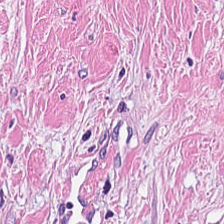Stain: H&E stain.
Predominant tissue: cancer-associated stroma.
